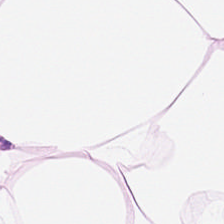Brightfield microscopy; 224×224 pixel tile; hematoxylin and eosin.
The tissue here is adipocytes.
